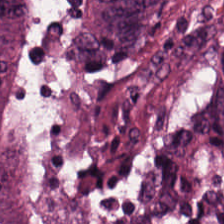Stain: H&E-stained tissue section.
Tissue: colorectal adenocarcinoma.
